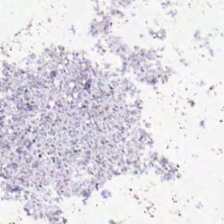FFPE. WSI patch. H&E — This field is background (no tissue).
